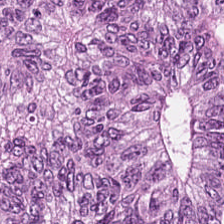Showing malignant epithelium.
